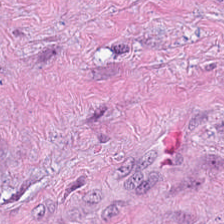Classification — tumor-associated stroma.
